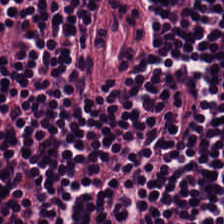Stain: H&E.
Tissue: lymphoid infiltrate.
